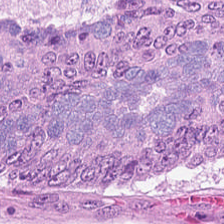The classification is malignant epithelium.
